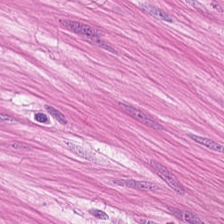0.5 µm per pixel. Hematoxylin and eosin — Showing smooth muscle.
